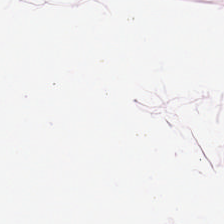Brightfield microscopy. Hematoxylin and eosin. This field is adipose.
